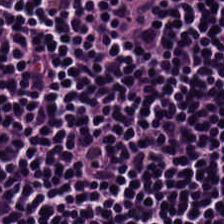H&E — Tissue — lymphocyte aggregate.
